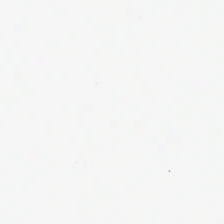Stain: H&E.
Tile size: 224×224 px patch.
Resolution: 20× equivalent magnification.
Content: background.
